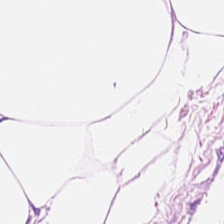Stain: H&E-stained tissue section.
Tissue type: adipose tissue.
